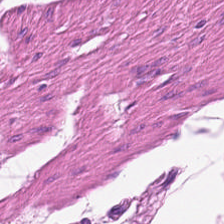Whole-slide-image patch. 0.5 µm/px. H&E. Tissue type: muscularis.
